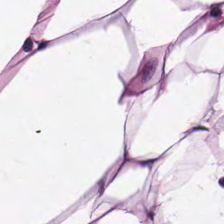Hematoxylin and eosin. 0.5 microns per pixel. Formalin-fixed paraffin-embedded section.
Predominant tissue: fat tissue.
